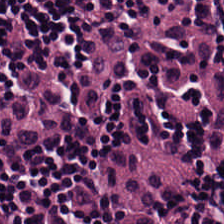Stain: H&E.
Classification: lymphocytes.
